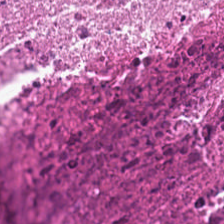H&E. Tissue: necrotic debris.
